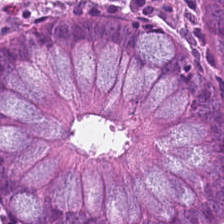H&E stain — Q: Classify this patch.
A: Non-neoplastic colon mucosa.
